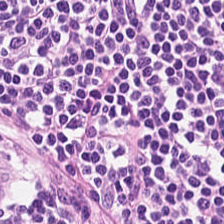FFPE; hematoxylin-and-eosin stained section — Q: What type of tissue is this?
A: It is lymphocytes.
